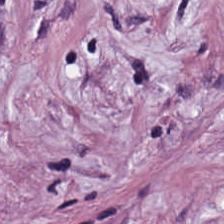H&E stain. {"tissue_type": "tumor stroma"}
